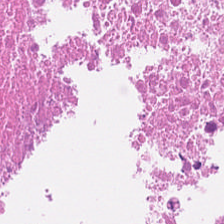H&E stain. This patch shows debris.
